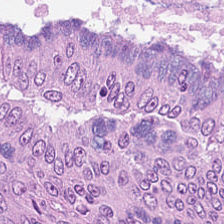WSI patch; FFPE tissue section; hematoxylin-and-eosin stained section.
Q: What type of tissue is this?
A: Tumor epithelium.
